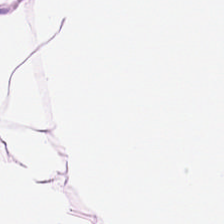Stain: hematoxylin-and-eosin stained section.
Tile size: 224×224 px patch.
Resolution: 0.5 microns per pixel.
Classification: adipose tissue.
